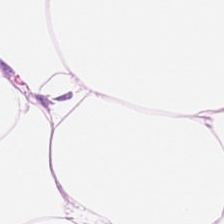Stain: hematoxylin and eosin.
Acquisition: whole-slide-image patch.
Preparation: FFPE.
Classification: adipocytes.
